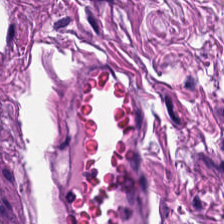Hematoxylin-and-eosin stained section — The predominant tissue is smooth-muscle tissue.
